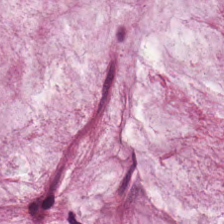Stain: hematoxylin and eosin.
Resolution: 0.5 µm/px.
Tile size: 224×224 px patch.
Tissue class: extracellular mucin.
